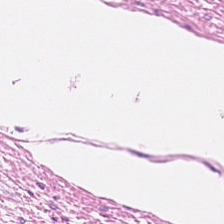Hematoxylin-and-eosin stained section — Predominantly smooth-muscle tissue.
